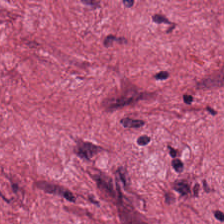H&E-stained tissue section — Predominantly tumor stroma.
